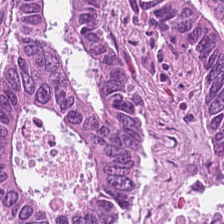H&E.
The predominant tissue is colorectal adenocarcinoma epithelium.
